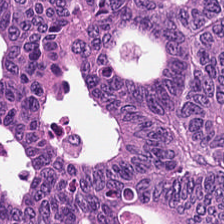H&E — The tissue type is colorectal adenocarcinoma epithelium.
